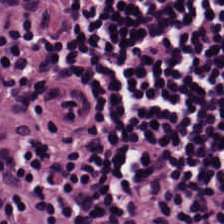Showing lymphocytic infiltrate.
